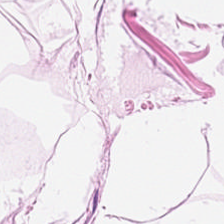Q: What is shown in this field?
A: The field shows adipose.
